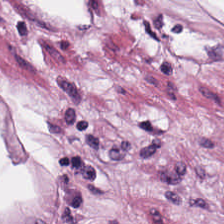H&E stain · 0.5 µm/px. Q: What tissue is shown?
A: The field shows fat tissue.
